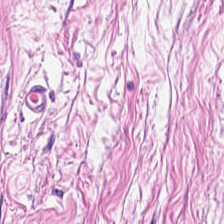Hematoxylin-and-eosin stained section — Tissue class — cancer-associated stroma.
